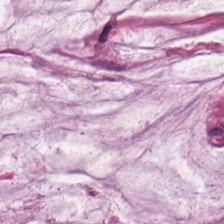0.5 µm per pixel · H&E-stained tissue section · brightfield microscopy. Showing extracellular mucin.
